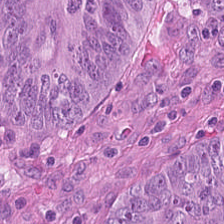Formalin-fixed paraffin-embedded section; H&E. Q: What is shown in this field?
A: This is tumor epithelium.
